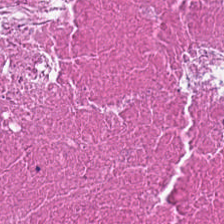H&E stain — Necrotic debris.
